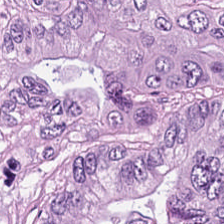Hematoxylin-and-eosin stained section; 224×224 px tile. Tissue = colorectal adenocarcinoma epithelium.
